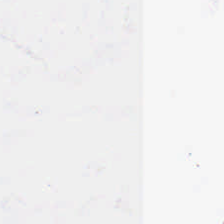FFPE tissue section. Hematoxylin and eosin. Q: Classify this patch.
A: Background.
